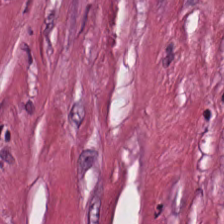Classification — desmoplastic stroma.
